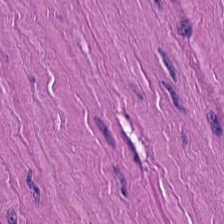H&E-stained tissue section — Predominant tissue = muscularis.
